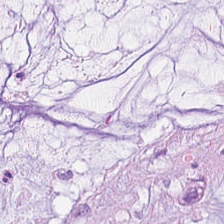Impression — mucus.
